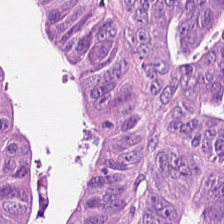Tissue type: adenocarcinoma.
